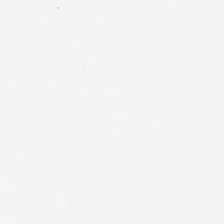Stain: H&E stain.
Resolution: 0.5 µm/px.
Classification: no tissue.
